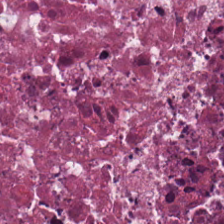H&E-stained tissue section. 224×224 px tile.
Tissue type: cellular debris.
